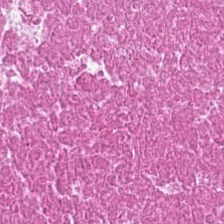H&E-stained tissue section — This patch shows cellular debris.
